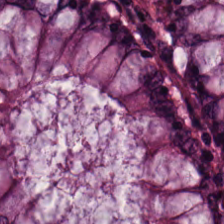H&E stain. Brightfield microscopy. 224×224 px tile.
Predominantly normal colonic mucosa.
